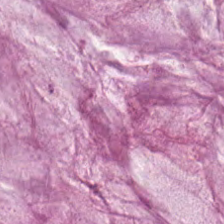H&E — Predominant tissue = mucin.
